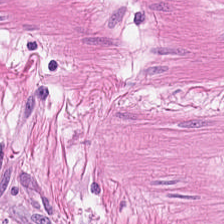H&E stain — The tissue is smooth-muscle tissue.
